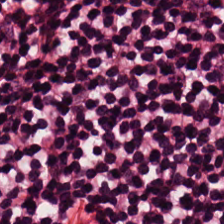Finding — lymphocyte aggregate.
